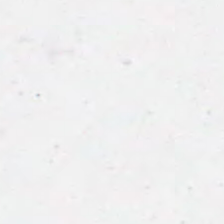Hematoxylin and eosin. 224×224 pixel tile.
Content: empty background.
